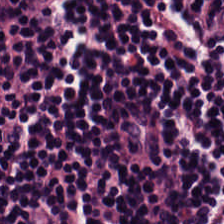This field is lymphocytes.
